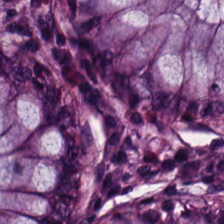H&E-stained tissue section. FFPE tissue section. Whole-slide-image patch.
The predominant tissue is non-neoplastic colon mucosa.
